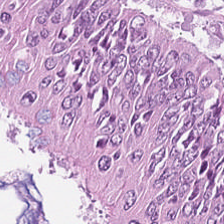Tissue class — malignant epithelium.
